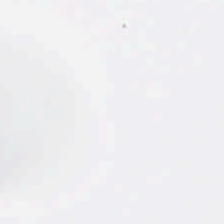Stain: hematoxylin and eosin.
Field content: no tissue.
